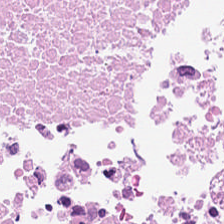Stain: hematoxylin and eosin.
Tile size: 224×224 px tile.
Predominant tissue: cellular debris.
